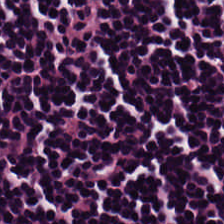224×224 pixel tile · H&E-stained tissue section.
Lymphocytic infiltrate.
